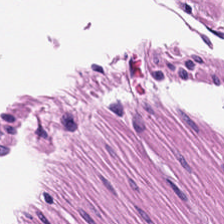FFPE tissue section; H&E. {"tissue_type": "smooth-muscle tissue"}
